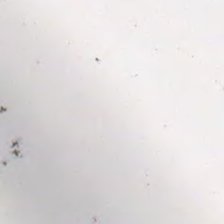FFPE tissue section. H&E stain.
Content — background (no tissue).
